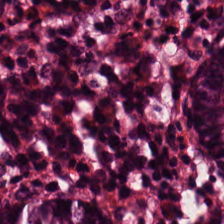H&E — This field is normal colonic mucosa.
